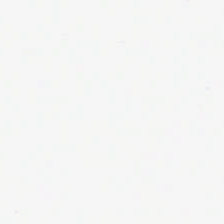Stain: H&E-stained tissue section.
Preparation: formalin-fixed paraffin-embedded section.
Resolution: 0.5 µm per pixel.
Field content: background.
